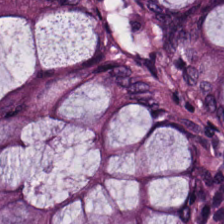H&E-stained tissue section. Q: What does this patch show?
A: Benign colonic mucosa.
